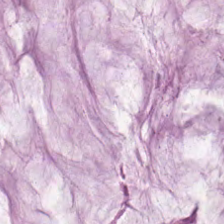Hematoxylin-and-eosin stained section. Tissue type = extracellular mucin.
